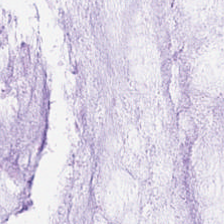Hematoxylin-and-eosin stained section. WSI patch.
This field is mucus.
